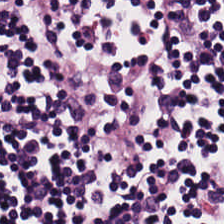H&E-stained tissue section. Tissue — lymphoid infiltrate.
